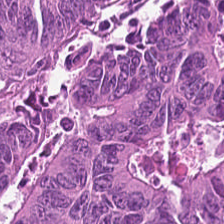Finding — colorectal adenocarcinoma.
